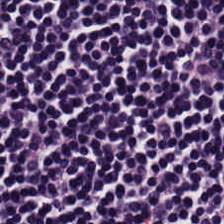H&E patch showing lymphocyte aggregate.
